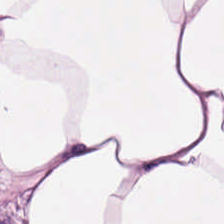FFPE tissue section; whole-slide-image patch; H&E stain — Impression — fat tissue.
